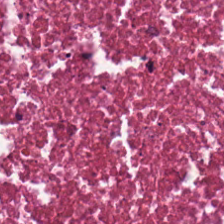20× equivalent magnification; whole-slide-image patch; hematoxylin and eosin — Predominant tissue: debris.
